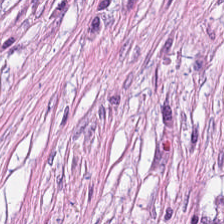Stain: H&E-stained tissue section.
Resolution: 0.5 µm/px.
Predominant tissue: tumor-associated stroma.
